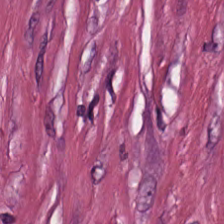H&E-stained tissue section — This field is cancer-associated stroma.
